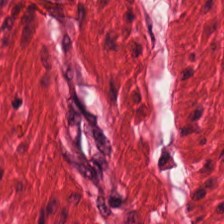WSI patch; formalin-fixed paraffin-embedded section; H&E — Showing muscularis.
